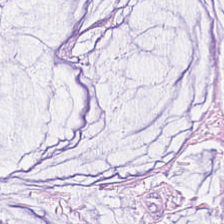H&E-stained tissue section.
The tissue class is mucus.
